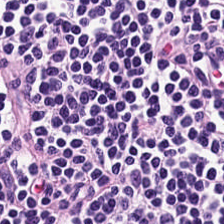0.5 microns per pixel. H&E. 224×224 px tile.
Classification = lymphocytic infiltrate.
